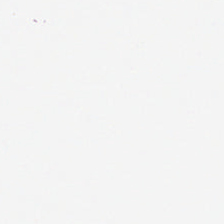Q: What is shown in this field?
A: The field shows background (no tissue).
